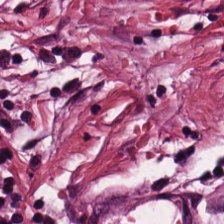The predominant tissue is tumor-associated stroma.
